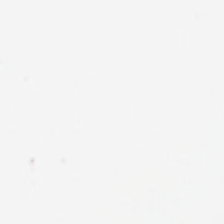Hematoxylin-and-eosin stained section · 0.5 µm/px. {"content": "no tissue"}
